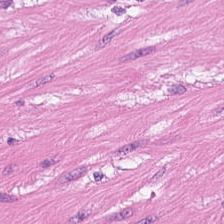Q: What tissue is shown?
A: The field shows muscularis.
